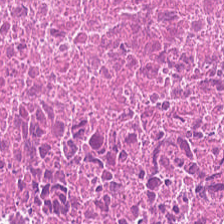224×224 px patch · H&E-stained tissue section. The tissue class is debris.
